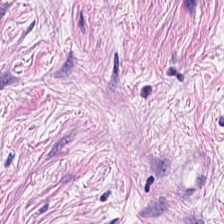H&E-stained tissue section. The predominant tissue is tumor stroma.
